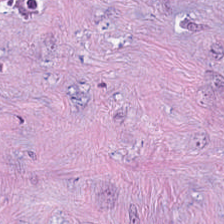H&E. Showing desmoplastic stroma.
